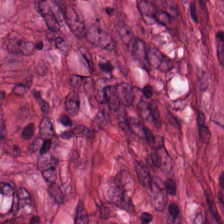H&E. 224×224 px tile. 0.5 µm per pixel. Predominantly desmoplastic stroma.
